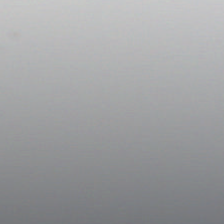Stain: hematoxylin-and-eosin stained section.
Tile size: 224×224 px patch.
Field content: no tissue.
